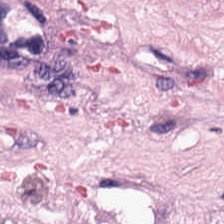Hematoxylin and eosin · 224×224 px patch — This patch shows tumor stroma.
